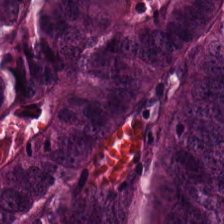224×224 px patch · H&E stain.
The predominant tissue is malignant epithelium.
